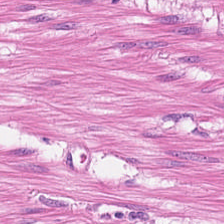H&E stain — The tissue class is smooth muscle.
